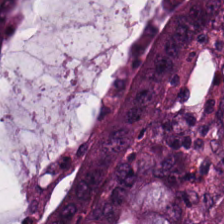Stain: hematoxylin and eosin.
Tile size: 224×224 px tile.
Acquisition: WSI patch.
Tissue class: malignant epithelium.
